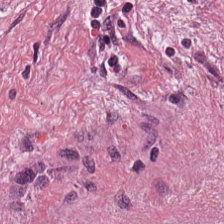Q: What type of tissue is this?
A: Desmoplastic stroma.
